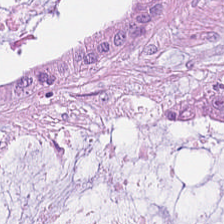Impression — extracellular mucin.
